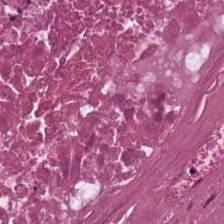Brightfield microscopy · H&E stain. {"tissue_type": "debris"}
